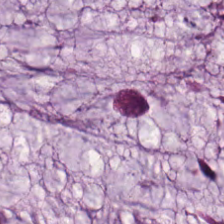FFPE · hematoxylin-and-eosin stained section. Q: What tissue is shown?
A: It is mucin.
